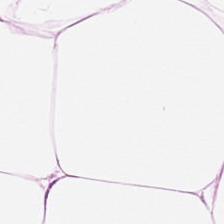H&E-stained tissue section. Q: What is the predominant tissue type?
A: This is adipocytes.
